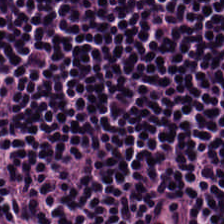Tissue — lymphocyte aggregate.
